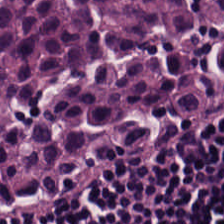Hematoxylin-and-eosin section: lymphoid infiltrate.
